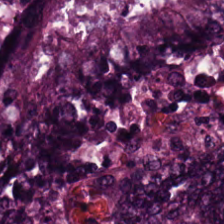Hematoxylin and eosin. Showing adenocarcinoma.
